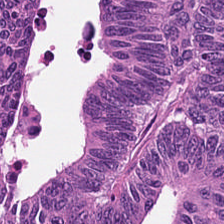224×224 px tile · WSI patch · H&E. The classification is malignant epithelium.
